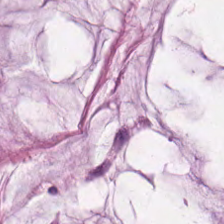Hematoxylin and eosin. Showing mucus.
